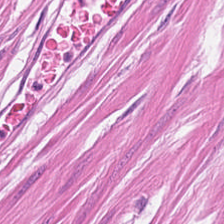224×224 px patch · brightfield · H&E-stained tissue section. Showing smooth-muscle tissue.
